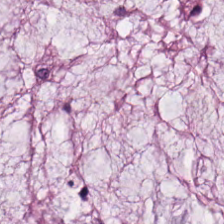Hematoxylin-and-eosin section: mucus.
